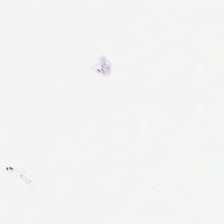H&E stain — Q: What is shown in this field?
A: This is no tissue.
